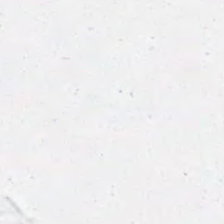Formalin-fixed paraffin-embedded section. Whole-slide-image patch. Hematoxylin and eosin. Q: What is shown here?
A: This is background (no tissue).
